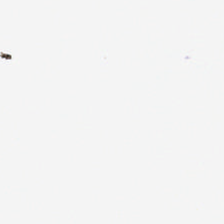0.5 µm/px; hematoxylin and eosin.
Empty field — empty background.
